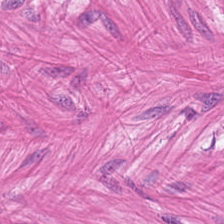Hematoxylin and eosin · FFPE tissue section · 20× equivalent magnification. Tissue type = smooth muscle.
